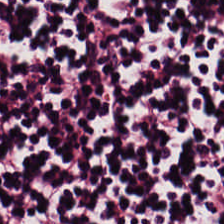H&E stain. 224×224 pixel tile. FFPE tissue section. Tissue type = lymphoid infiltrate.
